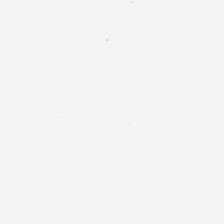Stain: H&E stain.
Preparation: formalin-fixed paraffin-embedded section.
Field content: background.
